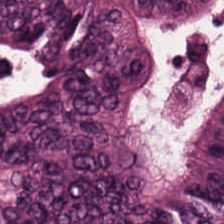Hematoxylin-and-eosin stained section. This patch shows adenocarcinoma.
